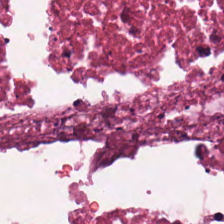Hematoxylin-and-eosin stained section; 0.5 µm/px — The tissue type is necrotic debris.
